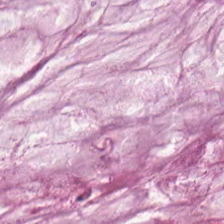Stain: hematoxylin and eosin.
Tile size: 224×224 px patch.
Predominant tissue: mucus.
